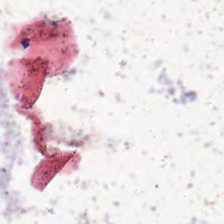WSI patch · H&E stain. {"content": "no tissue"}
